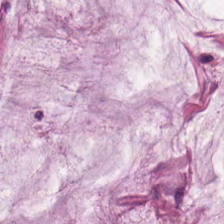H&E. Whole-slide-image patch — Tissue class: mucus.
